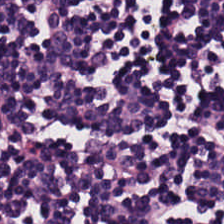Hematoxylin-and-eosin stained section; formalin-fixed paraffin-embedded section. This field is lymphocytic infiltrate.
